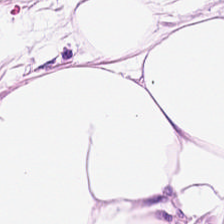H&E. {"tissue_type": "adipose tissue"}
